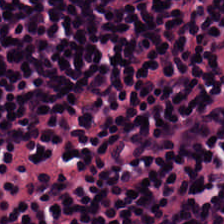Hematoxylin and eosin.
The tissue is lymphocytes.
